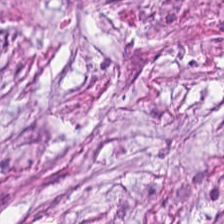Histology — cancer-associated stroma.
